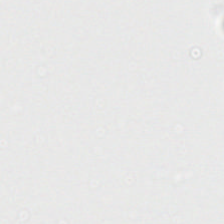Hematoxylin and eosin. {"content": "background"}
